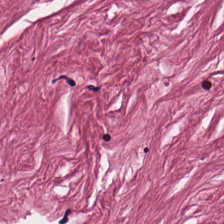H&E stain — Tissue type = tumor stroma.
